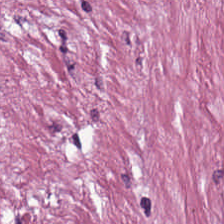Hematoxylin-and-eosin stained section. FFPE. Whole-slide-image patch. Predominant tissue: desmoplastic stroma.
